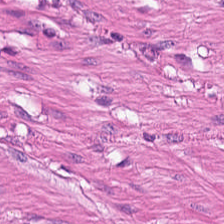H&E stain.
Tissue — muscularis.
